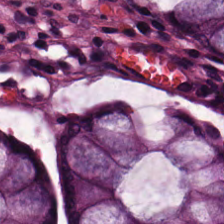H&E. 224×224 pixel tile.
This patch shows benign colonic mucosa.
